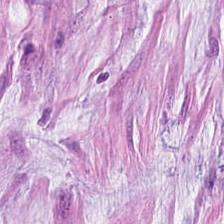H&E stain; 0.5 microns per pixel — Q: Classify this patch.
A: Mucin.
